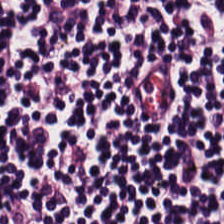H&E stain.
Q: What is shown here?
A: This is lymphocyte aggregate.
